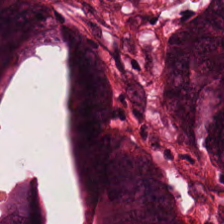224×224 px patch · H&E · 0.5 µm/px — Predominant tissue = adenocarcinoma.
